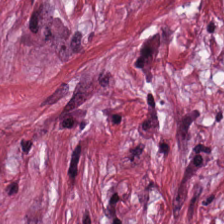Q: Identify the tissue.
A: This is cancer-associated stroma.
